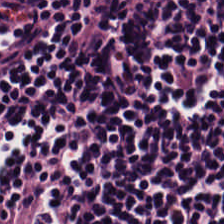Predominant tissue — lymphocyte aggregate.
